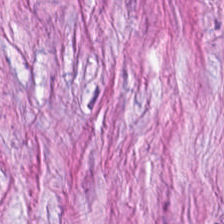Impression → tumor-associated stroma.
